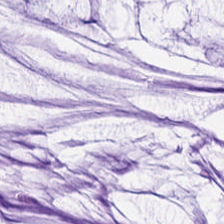H&E — Histology → mucin.
